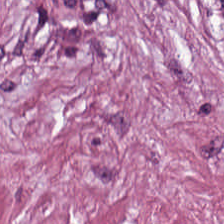0.5 microns per pixel; brightfield microscopy; hematoxylin-and-eosin stained section. The predominant tissue is tumor stroma.
